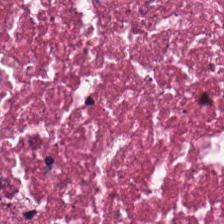Hematoxylin and eosin.
This field is debris.
